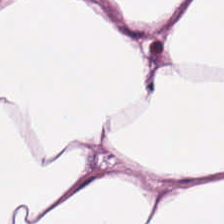H&E stain — This patch shows adipose tissue.
